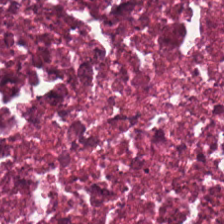H&E-stained tissue section. Formalin-fixed paraffin-embedded section — The predominant tissue is necrotic debris.
